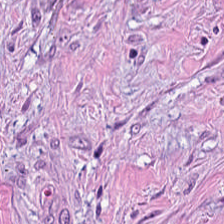Q: What is shown here?
A: This is desmoplastic stroma.
